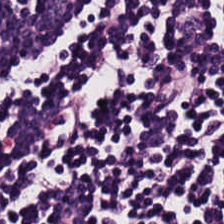20× equivalent magnification; hematoxylin and eosin — The tissue type is lymphocytes.
